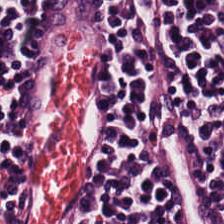{"tissue_type": "lymphocytes"}
